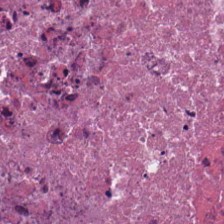Hematoxylin and eosin.
Predominant tissue — debris.
